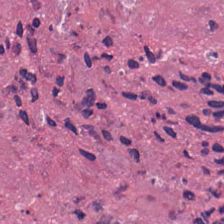Hematoxylin-and-eosin stained section. This patch shows necrotic debris.
